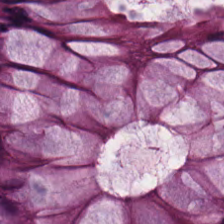Hematoxylin-and-eosin stained section. This field is non-neoplastic colon mucosa.
